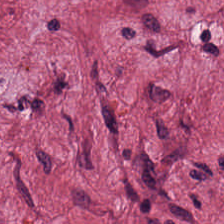H&E; 224×224 pixel tile; brightfield — Histology → desmoplastic stroma.
